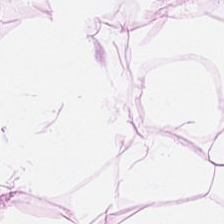0.5 µm per pixel; H&E — Impression → adipose.
